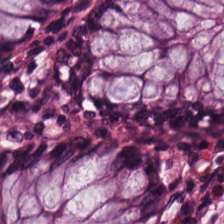Brightfield; H&E.
The tissue class is normal colonic mucosa.
